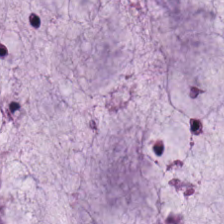Hematoxylin-and-eosin stained section.
The tissue is mucin.
